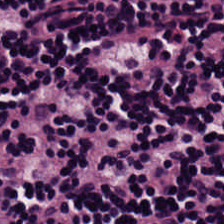224×224 px tile; hematoxylin and eosin — The tissue class is lymphocyte aggregate.
